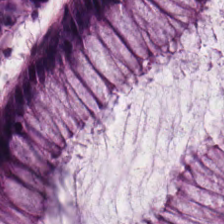Hematoxylin and eosin. Brightfield. Q: What type of tissue is this?
A: The field shows normal colonic mucosa.
